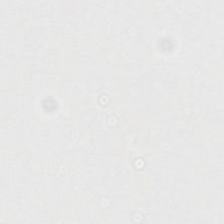224×224 pixel tile; hematoxylin and eosin. Q: What is shown in this field?
A: It is background.
